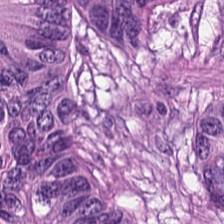224×224 px tile. Brightfield. H&E-stained tissue section. The tissue type is colorectal adenocarcinoma epithelium.
